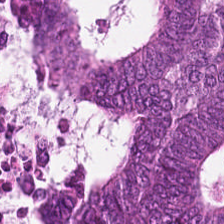H&E stain — This field is malignant epithelium.
